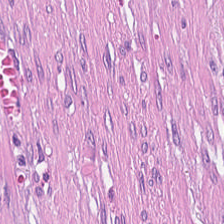Hematoxylin-and-eosin section: desmoplastic stroma.
